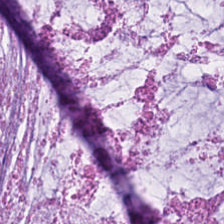0.5 µm per pixel · H&E stain.
{"tissue_type": "extracellular mucin"}
